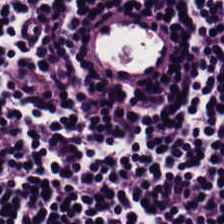Hematoxylin-and-eosin stained section. The tissue here is lymphocyte aggregate.
